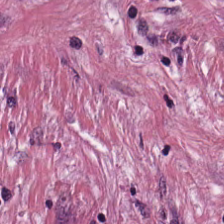WSI patch. H&E-stained tissue section. The predominant tissue is tumor-associated stroma.
